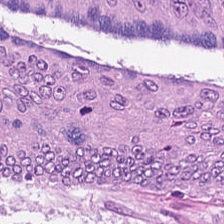H&E.
Q: What tissue is shown?
A: This is adenocarcinoma.
